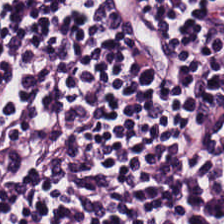Hematoxylin-and-eosin stained section · 0.5 µm per pixel · brightfield microscopy.
Finding — lymphocytes.
